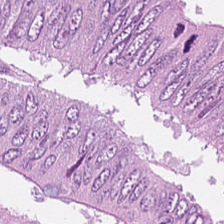H&E stain · brightfield microscopy.
Q: What is shown in this field?
A: This is tumor epithelium.
